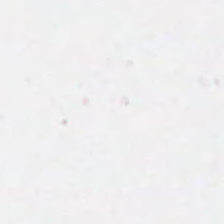Q: What does this patch show?
A: The field shows background.
